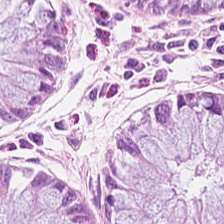Q: What is shown in this field?
A: This is normal colon mucosa.
